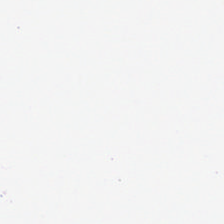H&E-stained tissue section. No tissue.
